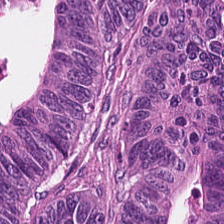224×224 px tile · H&E-stained tissue section.
The tissue class is tumor epithelium.
